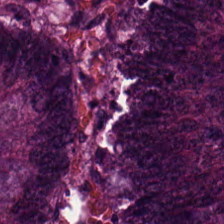Hematoxylin and eosin; WSI patch; FFPE. The predominant tissue is adenocarcinoma.
